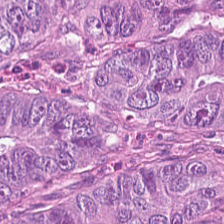Finding → tumor epithelium.
